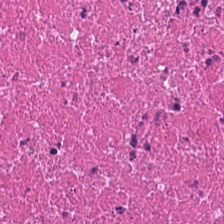H&E stain. Q: What type of tissue is this?
A: Necrotic debris.
